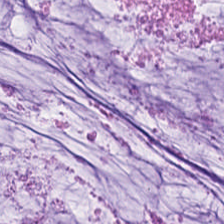Hematoxylin-and-eosin stained section — The predominant tissue is extracellular mucin.
